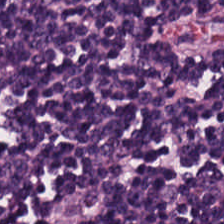Predominantly lymphoid infiltrate.
